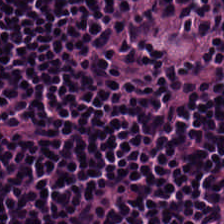Hematoxylin-and-eosin stained section.
Showing lymphocyte aggregate.
